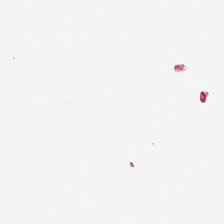Hematoxylin-and-eosin stained section. {"content": "empty background"}
